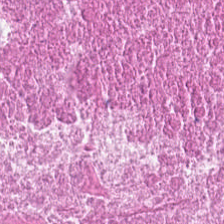H&E stain. 224×224 pixel tile — Predominant tissue — cellular debris.
